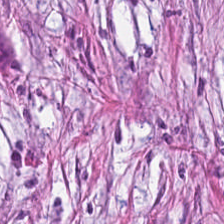0.5 µm per pixel; H&E; WSI patch — Tissue — desmoplastic stroma.
